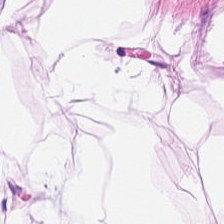224×224 px patch. Hematoxylin-and-eosin stained section — Tissue class = adipocytes.
